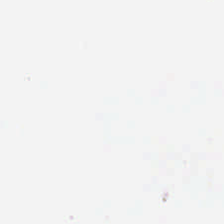Hematoxylin and eosin; whole-slide-image patch; FFPE tissue section — Q: What is shown in this field?
A: This is no tissue.
